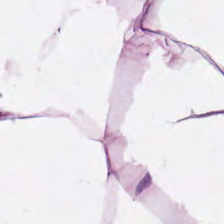Stain: hematoxylin-and-eosin stained section.
Predominant tissue: adipose.
